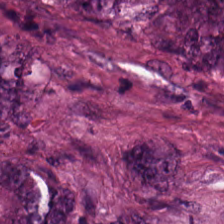Hematoxylin-and-eosin stained section. Whole-slide-image patch.
The predominant tissue is colorectal adenocarcinoma epithelium.
